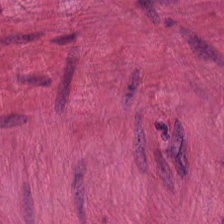{"tissue_type": "muscularis"}
